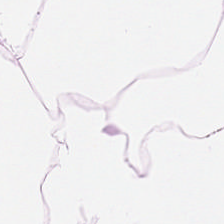H&E-stained tissue section.
Showing adipose tissue.
